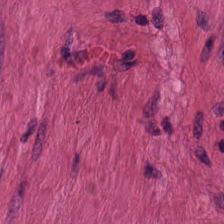Stain: hematoxylin-and-eosin stained section.
Tissue type: muscularis.
